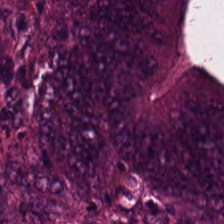224×224 px patch. H&E-stained tissue section.
The tissue here is tumor epithelium.
